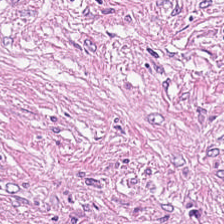Hematoxylin-and-eosin section: desmoplastic stroma.
